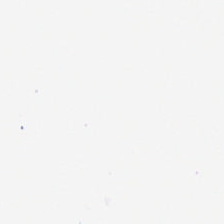Whole-slide-image patch; H&E.
Classification = background (no tissue).
